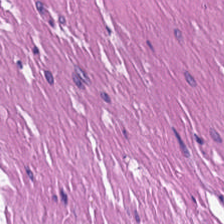Stain: H&E-stained tissue section.
Classification: smooth-muscle tissue.
